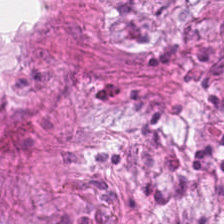Hematoxylin-and-eosin stained section · 224×224 px tile — Q: Classify this patch.
A: The field shows cancer-associated stroma.
